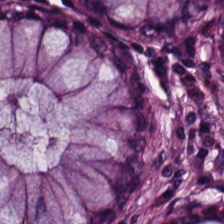224×224 pixel tile. H&E. The tissue class is benign colonic mucosa.
